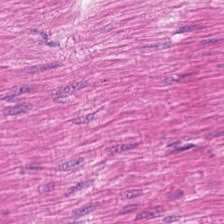224×224 pixel tile · formalin-fixed paraffin-embedded section · H&E-stained tissue section. Classification = smooth muscle.
